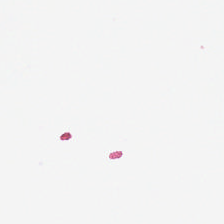Hematoxylin-and-eosin stained section · 224×224 pixel tile · 20× equivalent magnification.
Background — no tissue in this field.
